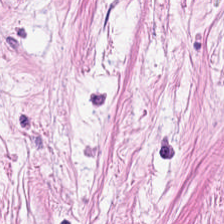Histology → tumor stroma.
